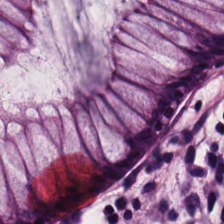H&E stain; 224×224 px patch; 0.5 µm/px — Finding — benign colonic mucosa.
